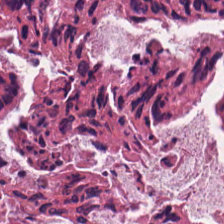224×224 px patch · formalin-fixed paraffin-embedded section · H&E-stained tissue section — Necrotic debris.
